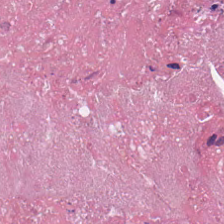H&E-stained tissue section.
Impression → necrotic debris.
